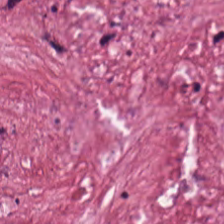H&E stain. This field is cancer-associated stroma.
